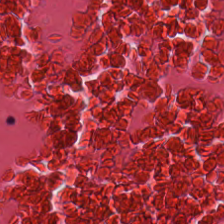Hematoxylin and eosin. Formalin-fixed paraffin-embedded section. 0.5 µm per pixel. Showing necrotic debris.
